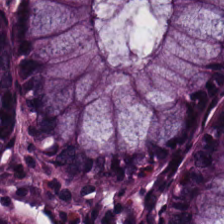224×224 px patch · H&E-stained tissue section. Q: What does this patch show?
A: Non-neoplastic colon mucosa.
